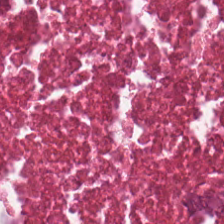The tissue is cellular debris.
